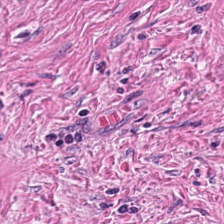H&E — Predominantly tumor-associated stroma.
